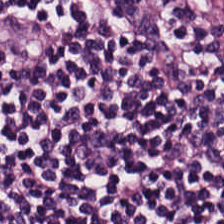Finding → lymphocytic infiltrate.
